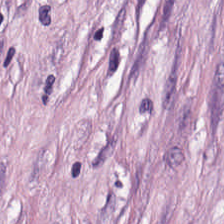H&E stain — Q: What does this patch show?
A: Tumor-associated stroma.
